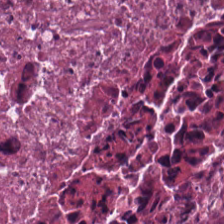Hematoxylin and eosin · whole-slide-image patch.
Tissue: cellular debris.
